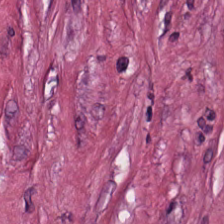H&E-stained tissue section. Predominant tissue = cancer-associated stroma.
